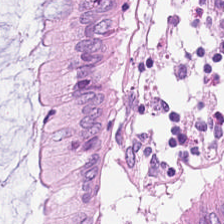H&E patch showing normal colonic mucosa.
